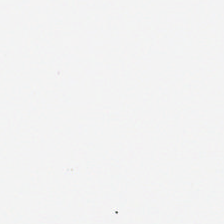Hematoxylin-and-eosin stained section — This field is background (no tissue).
